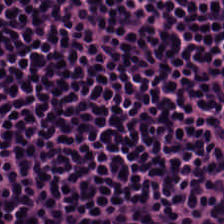0.5 µm/px · 224×224 pixel tile · H&E-stained tissue section. Showing lymphocytes.
